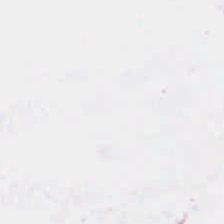Brightfield microscopy · hematoxylin and eosin. Content = background (no tissue).
